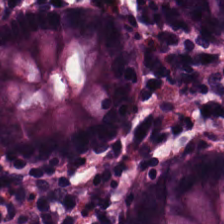224×224 pixel tile; H&E stain; formalin-fixed paraffin-embedded section — The predominant tissue is normal colon mucosa.
